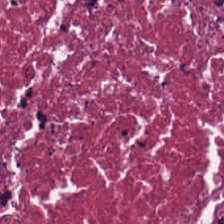Hematoxylin and eosin. Histology — debris.
